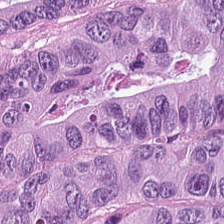FFPE · H&E.
Finding — colorectal adenocarcinoma.
